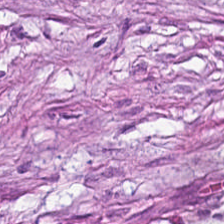Hematoxylin-and-eosin stained section — Showing tumor stroma.
